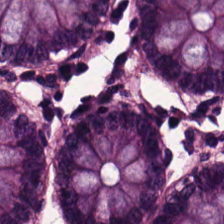This patch shows non-neoplastic colon mucosa.
